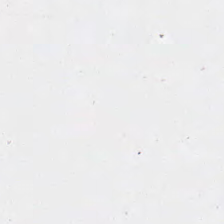H&E-stained tissue section — Finding → background (no tissue).
